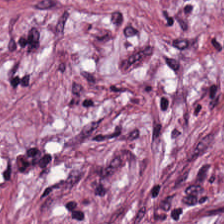Stain: hematoxylin and eosin.
Tissue: tumor stroma.
